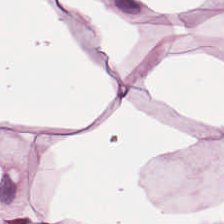Q: What is shown here?
A: Fat tissue.
